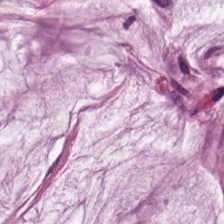Hematoxylin-and-eosin stained section.
Showing mucin.
